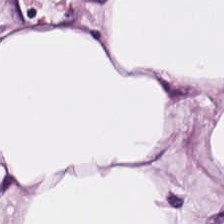Adipose.
